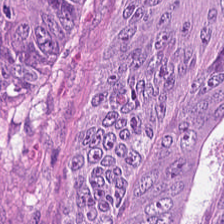Tissue = colorectal adenocarcinoma epithelium.
